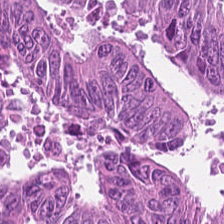Hematoxylin-and-eosin stained section.
Histology → colorectal adenocarcinoma.
